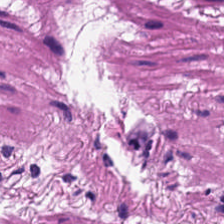Predominantly smooth muscle.
